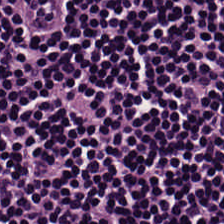H&E. Histology → lymphocytic infiltrate.
